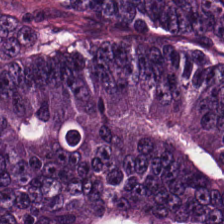Hematoxylin-and-eosin stained section; 224×224 px tile. This patch shows colorectal adenocarcinoma epithelium.
